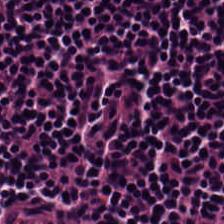H&E; 224×224 px tile.
Histology → lymphoid infiltrate.
